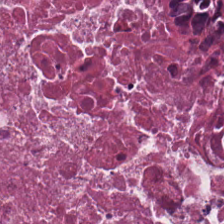0.5 microns per pixel. H&E — The classification is cellular debris.
